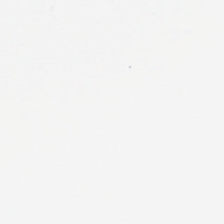Classification — background.
